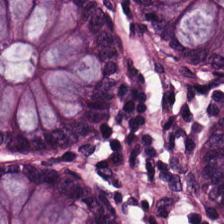FFPE · 224×224 pixel tile · H&E stain. Benign colonic mucosa.
